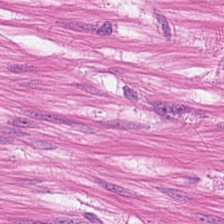Brightfield; FFPE tissue section; H&E-stained tissue section — Tissue — smooth muscle.
